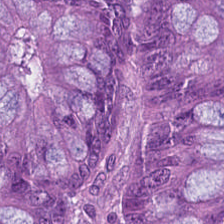Hematoxylin and eosin · 224×224 px tile. The tissue here is malignant epithelium.
